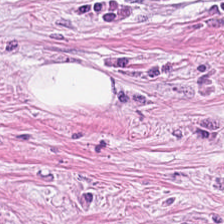Q: What tissue is shown?
A: It is desmoplastic stroma.
